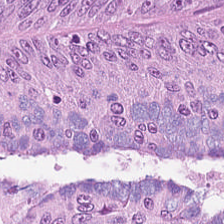Hematoxylin-and-eosin stained section. Impression — malignant epithelium.
